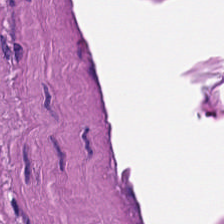This field is smooth-muscle tissue.
